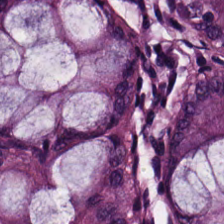H&E — Classification: normal colon mucosa.
